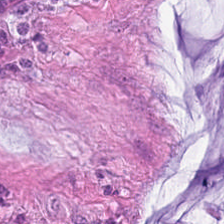224×224 px tile. Hematoxylin-and-eosin stained section. WSI patch. Showing extracellular mucin.
